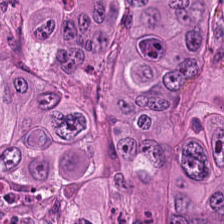H&E patch showing tumor epithelium.
